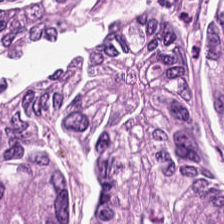Hematoxylin-and-eosin stained section. 224×224 px patch. Q: Identify the tissue.
A: Tumor epithelium.
